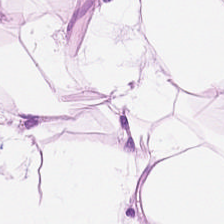Showing fat tissue.
